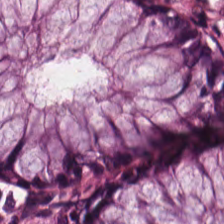Normal colon mucosa.
